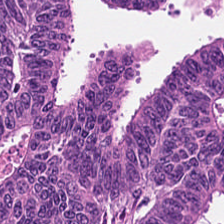Hematoxylin and eosin — This field is malignant epithelium.
